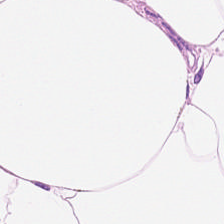Stain: H&E.
Tissue class: adipose.
